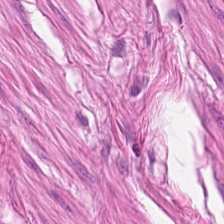H&E-stained tissue section · 224×224 px tile.
This patch shows smooth-muscle tissue.
